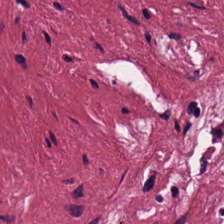Finding — tumor stroma.
